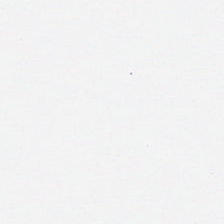Background.
